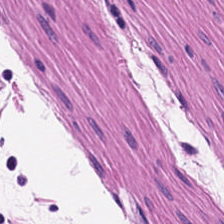H&E. 20× equivalent magnification.
This patch shows muscularis.
